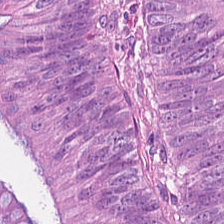224×224 pixel tile · hematoxylin and eosin — Colorectal adenocarcinoma epithelium.
